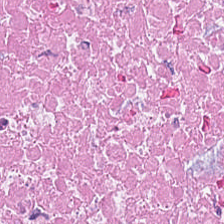The classification is necrotic debris.
